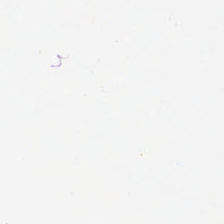H&E. Content: no tissue.
